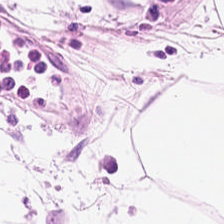Q: What is the predominant tissue type?
A: Adipose.
